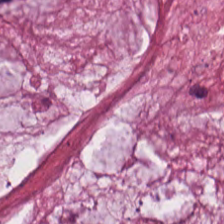Impression — mucus.
